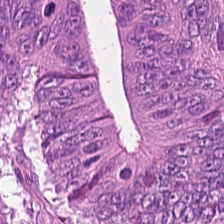WSI patch. H&E stain. Histology — malignant epithelium.
